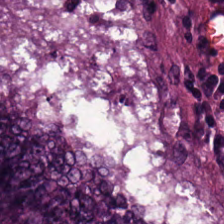H&E.
This field is malignant epithelium.
